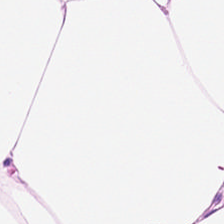Hematoxylin-and-eosin stained section — Q: Classify this patch.
A: This is fat tissue.
